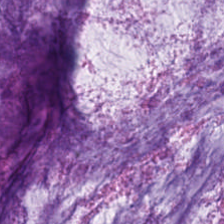224×224 px patch. Hematoxylin-and-eosin stained section — This patch shows mucin.
